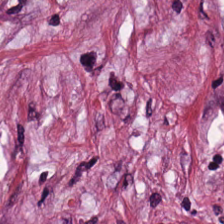H&E stain; 0.5 µm per pixel — Q: What is shown in this field?
A: Tumor-associated stroma.
